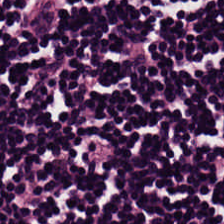Stain: H&E stain.
Tissue: lymphocytes.
